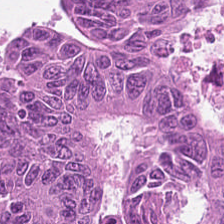H&E stain · 0.5 µm/px. The tissue type is colorectal adenocarcinoma.
